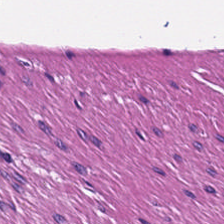Stain: hematoxylin-and-eosin stained section.
Resolution: 0.5 microns per pixel.
Preparation: FFPE tissue section.
Classification: smooth muscle.
